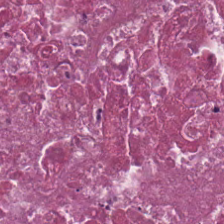The tissue here is necrotic debris.
